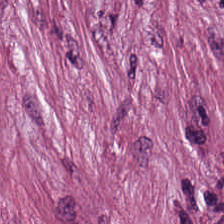Hematoxylin and eosin — Tissue = desmoplastic stroma.
